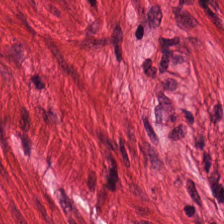224×224 px patch. H&E. {"tissue_type": "smooth-muscle tissue"}
